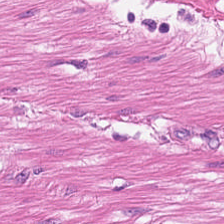H&E-stained tissue section. Predominantly muscularis.
